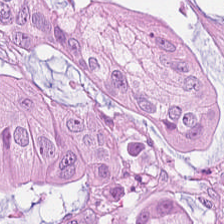WSI patch; 20× equivalent magnification; H&E-stained tissue section. Q: What is shown in this field?
A: It is adenocarcinoma.
